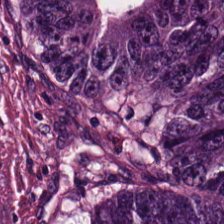H&E-stained tissue section.
Predominantly tumor epithelium.
